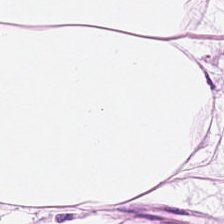H&E stain. This patch shows fat tissue.
